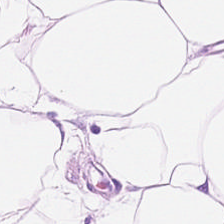H&E — Showing fat tissue.
